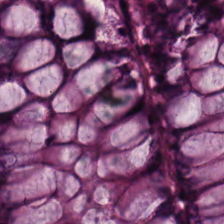Tissue class — non-neoplastic colon mucosa.
